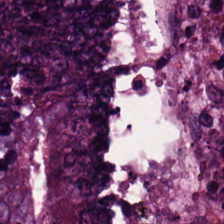Hematoxylin-and-eosin stained section.
Q: Identify the tissue.
A: This is colorectal adenocarcinoma.
